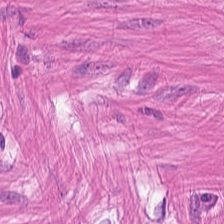H&E — Predominantly smooth-muscle tissue.
